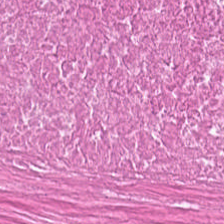Formalin-fixed paraffin-embedded section · hematoxylin and eosin · 0.5 microns per pixel — Predominantly cellular debris.
